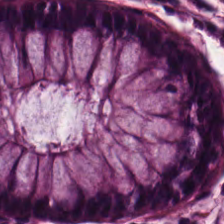H&E stain.
The predominant tissue is normal colonic mucosa.
